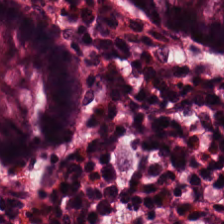0.5 µm per pixel · WSI patch · H&E — Q: Identify the tissue.
A: It is normal colonic mucosa.
